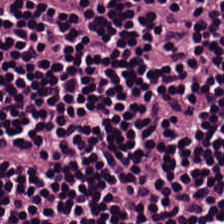Hematoxylin-and-eosin stained section; 224×224 px tile — This field is lymphocytic infiltrate.
